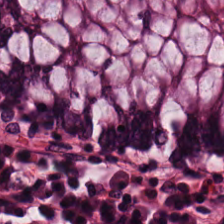H&E-stained tissue section — Q: What is shown here?
A: This is normal colon mucosa.
